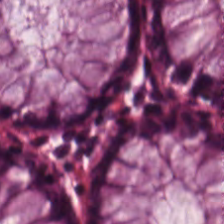Hematoxylin and eosin. FFPE.
The tissue class is benign colonic mucosa.
